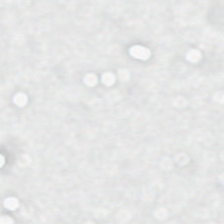H&E-stained tissue section — Background (no tissue).
